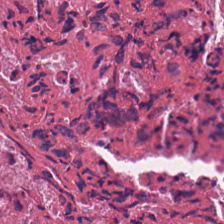H&E.
Showing necrotic debris.
